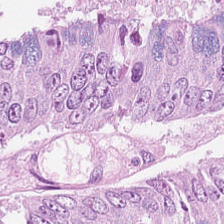Formalin-fixed paraffin-embedded section. 20× equivalent magnification. H&E.
The tissue type is colorectal adenocarcinoma epithelium.
